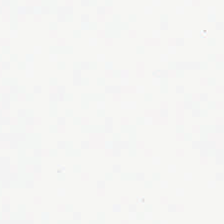Hematoxylin and eosin.
Q: What is shown in this field?
A: It is empty background.
